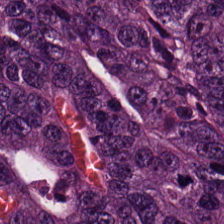Hematoxylin and eosin; 20× equivalent magnification — Tissue — colorectal adenocarcinoma epithelium.
